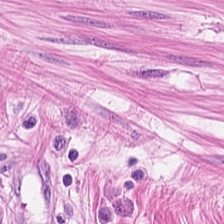Hematoxylin-and-eosin stained section · formalin-fixed paraffin-embedded section — The tissue here is muscularis.
